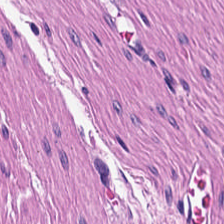H&E patch showing muscularis.
